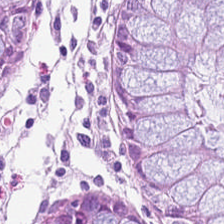Tissue class: benign colonic mucosa.
